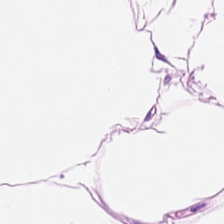Predominant tissue — fat tissue.
